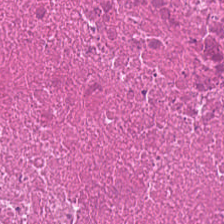H&E — cellular debris.
